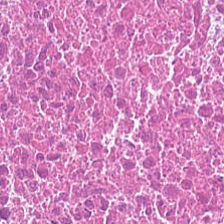Hematoxylin-and-eosin stained section.
Q: What type of tissue is this?
A: Debris.
